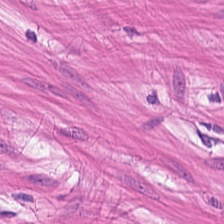H&E-stained tissue section — Q: What is shown here?
A: It is smooth-muscle tissue.
